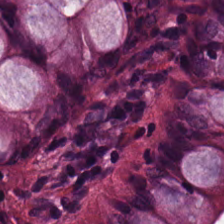224×224 pixel tile. Hematoxylin-and-eosin stained section — Predominantly benign colonic mucosa.
